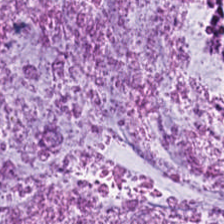H&E stain — The predominant tissue is mucus.
